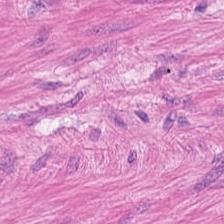Hematoxylin-and-eosin stained section · 20× equivalent magnification · formalin-fixed paraffin-embedded section.
Q: What is shown in this field?
A: This is smooth-muscle tissue.
